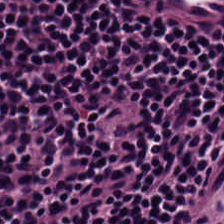FFPE tissue section; H&E stain.
The predominant tissue is lymphocytes.
